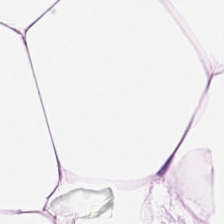Stain: H&E-stained tissue section.
Tissue: adipose.
